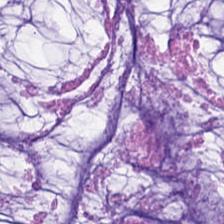H&E-stained tissue section · 0.5 microns per pixel.
Showing mucin.
